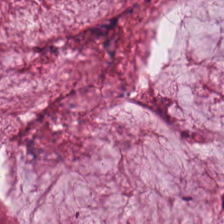Hematoxylin-and-eosin stained section.
Tissue class — extracellular mucin.
